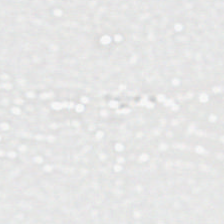0.5 µm/px; hematoxylin-and-eosin stained section.
This patch shows empty background.
